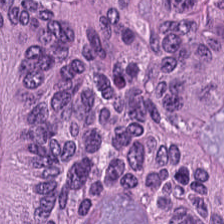Hematoxylin and eosin. Showing colorectal adenocarcinoma epithelium.
